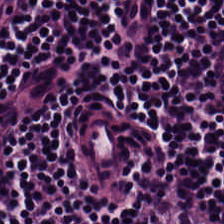H&E-stained tissue section — This field is lymphoid infiltrate.
